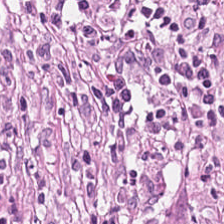H&E-stained tissue section — The tissue type is tumor stroma.
